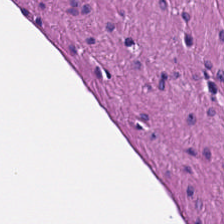Stain: H&E stain.
Tissue type: smooth-muscle tissue.
